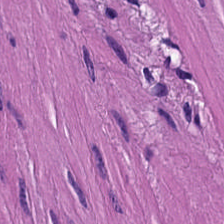H&E — smooth-muscle tissue.
